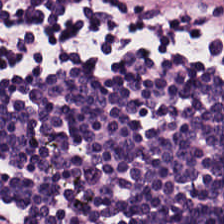224×224 px tile. H&E stain. This patch shows lymphocytic infiltrate.
